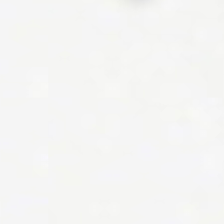H&E stain · formalin-fixed paraffin-embedded section — Impression — background.
